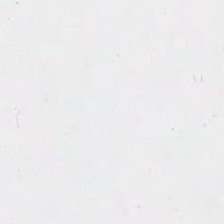Hematoxylin-and-eosin stained section · 224×224 px patch.
Empty field — background.
